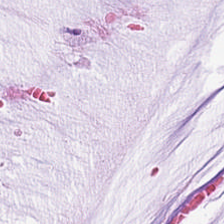H&E stain. Histology — extracellular mucin.
